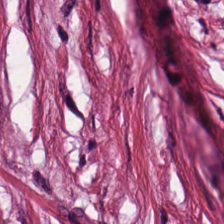H&E · 224×224 pixel tile · 0.5 µm/px.
Impression — tumor-associated stroma.
